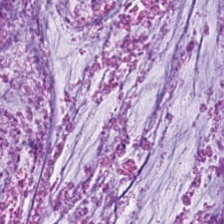Brightfield. Hematoxylin-and-eosin stained section — Tissue — mucin.
